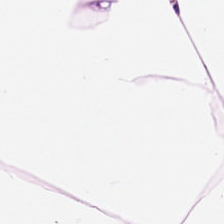H&E. FFPE tissue section. 224×224 px tile.
Q: What is shown in this field?
A: The field shows fat tissue.
